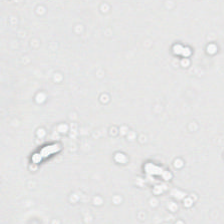The field content is background.
